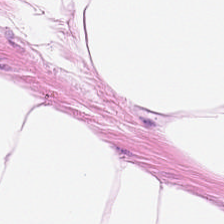H&E; FFPE; brightfield.
Q: What tissue type is shown here?
A: It is adipose tissue.
